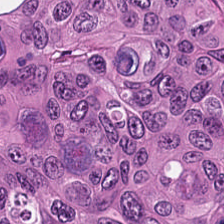H&E stain · FFPE — This field is adenocarcinoma.
